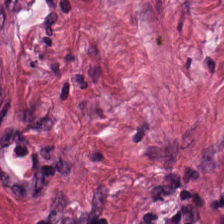Hematoxylin and eosin. The tissue here is desmoplastic stroma.
